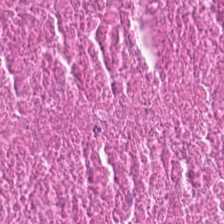Hematoxylin-and-eosin stained section.
The tissue here is necrotic debris.
